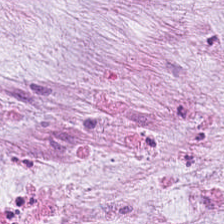Hematoxylin-and-eosin stained section — The tissue here is extracellular mucin.
